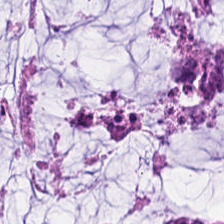Stain: hematoxylin-and-eosin stained section.
Resolution: 0.5 µm per pixel.
Predominant tissue: mucin.
